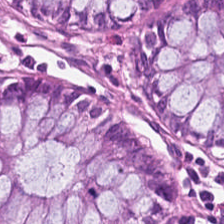Q: Classify this patch.
A: It is benign colonic mucosa.
